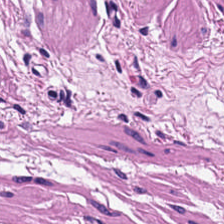224×224 px tile · H&E stain — Tissue type: smooth muscle.
